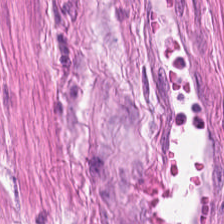Brightfield microscopy; H&E-stained tissue section.
This patch shows muscularis.
